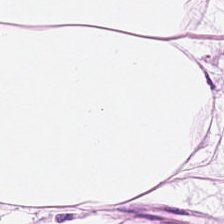H&E stain — Predominant tissue: adipose tissue.
